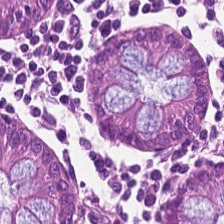Hematoxylin-and-eosin stained section — Finding → normal colon mucosa.
